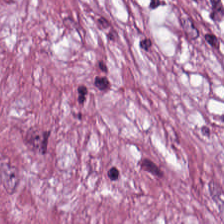H&E · 224×224 px patch · 0.5 µm/px — Q: Identify the tissue.
A: Cancer-associated stroma.
